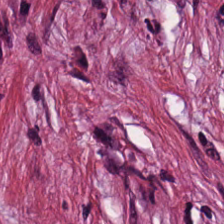H&E stain — Tissue type: desmoplastic stroma.
